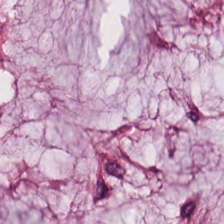Finding → mucin.
